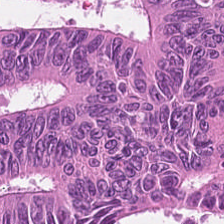H&E stain; formalin-fixed paraffin-embedded section; 0.5 µm/px. This field is colorectal adenocarcinoma epithelium.
